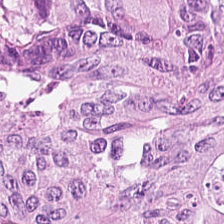H&E stain.
Impression — tumor epithelium.
